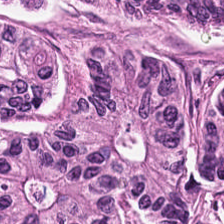Q: Classify this patch.
A: Colorectal adenocarcinoma epithelium.
